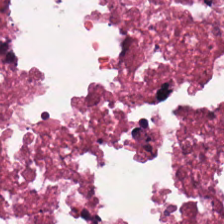Hematoxylin and eosin — This field is debris.
